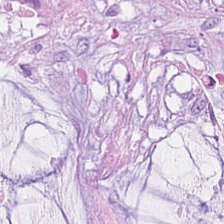H&E-stained tissue section — The classification is extracellular mucin.
